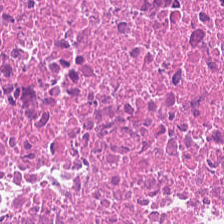Stain: H&E.
Resolution: 0.5 µm per pixel.
Tissue: debris.
